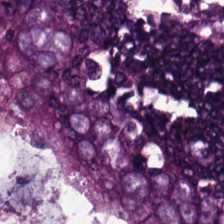H&E stain. 0.5 µm/px — Showing malignant epithelium.
